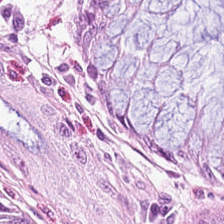H&E-stained tissue section · 224×224 pixel tile — Predominantly normal colonic mucosa.
